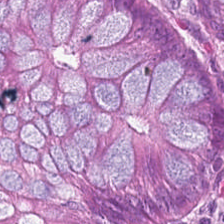Q: What tissue type is shown here?
A: It is normal colon mucosa.
